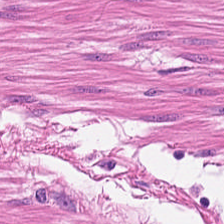H&E.
Histology → muscularis.
